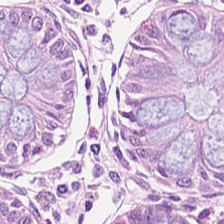H&E; whole-slide-image patch.
The tissue class is normal colon mucosa.
